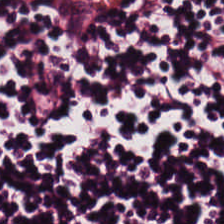Predominant tissue: lymphoid infiltrate.
